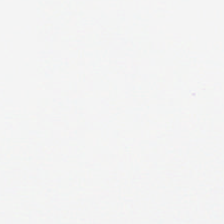H&E stain — This field is background (no tissue).
